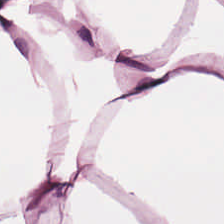Stain: H&E-stained tissue section.
Tissue class: adipocytes.
